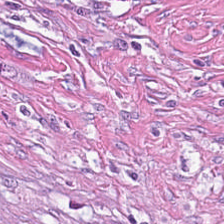Brightfield microscopy. Hematoxylin and eosin — The predominant tissue is tumor-associated stroma.
